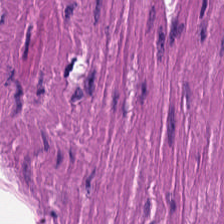H&E.
Tissue: muscularis.
